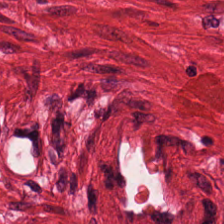H&E-stained tissue section.
Showing smooth-muscle tissue.
